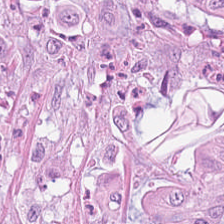Hematoxylin and eosin; 224×224 pixel tile. Predominant tissue — malignant epithelium.
